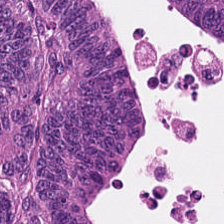Q: What type of tissue is this?
A: It is tumor epithelium.
